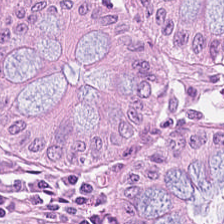H&E.
Classification = benign colonic mucosa.
